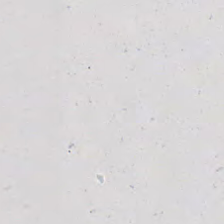Stain: hematoxylin and eosin.
Field content: empty background.
